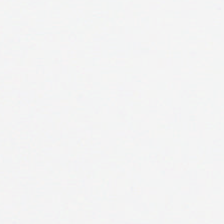Hematoxylin-and-eosin stained section. Background — no tissue in this field.
